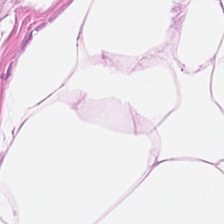H&E stain — The tissue is adipose.
